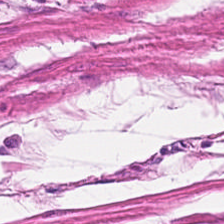H&E. Tissue type: muscularis.
